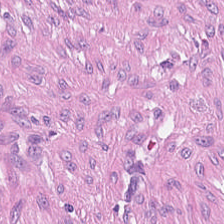Tumor stroma.
